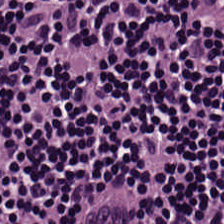This patch shows lymphocyte aggregate.
